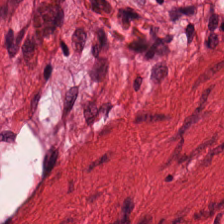H&E stain; 224×224 pixel tile.
Tissue: smooth muscle.
